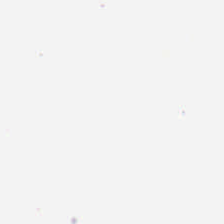H&E · formalin-fixed paraffin-embedded section · 224×224 px patch.
The classification is background (no tissue).
